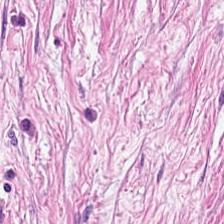224×224 pixel tile. H&E stain — Q: What does this patch show?
A: The field shows desmoplastic stroma.
